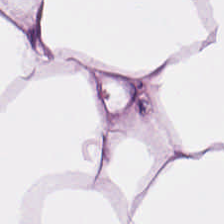H&E. 224×224 px patch. Histology → fat tissue.
